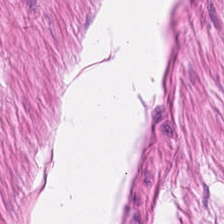Stain: hematoxylin and eosin.
Predominant tissue: muscularis.
